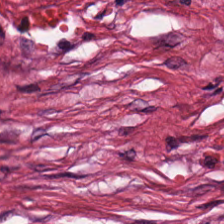H&E-stained tissue section.
Showing cancer-associated stroma.
